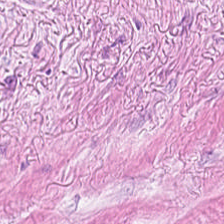Q: Classify this patch.
A: It is desmoplastic stroma.
